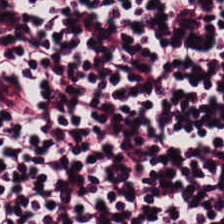H&E-stained tissue section showing lymphocyte aggregate.
